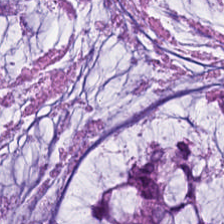Tissue class = extracellular mucin.
